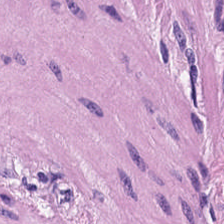H&E. Histology — smooth-muscle tissue.
